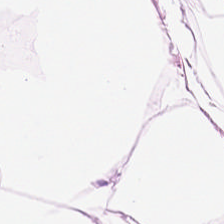H&E.
Fat tissue.
